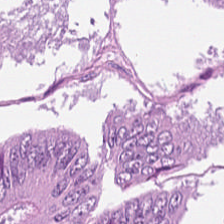Hematoxylin-and-eosin stained section. Q: What is shown in this field?
A: This is colorectal adenocarcinoma.
